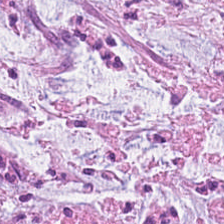Tissue class = desmoplastic stroma.
